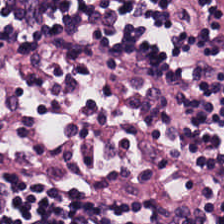Hematoxylin and eosin.
{"tissue_type": "lymphocytes"}
